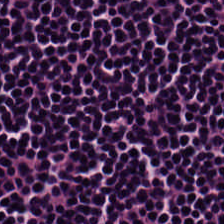Hematoxylin-and-eosin stained section — Predominantly lymphocytes.
